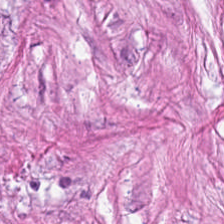Stain: hematoxylin-and-eosin stained section.
Tile size: 224×224 pixel tile.
Tissue class: desmoplastic stroma.
